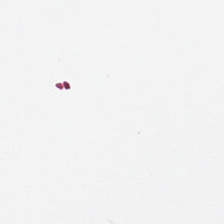Hematoxylin-and-eosin stained section. Formalin-fixed paraffin-embedded section — This field is background (no tissue).
